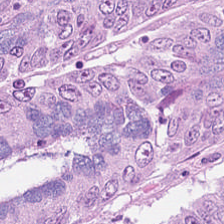Predominantly colorectal adenocarcinoma epithelium.
